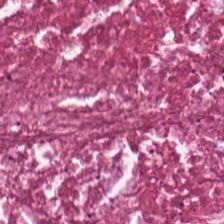H&E stain · FFPE · 224×224 px patch — Impression — cellular debris.
